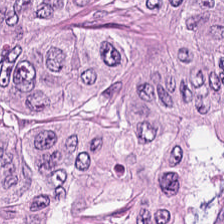224×224 px tile; H&E-stained tissue section.
The tissue class is tumor epithelium.
